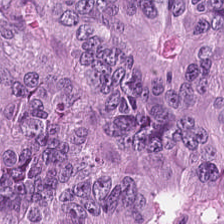H&E.
{"tissue_type": "adenocarcinoma"}
